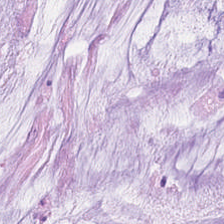H&E patch showing extracellular mucin.
